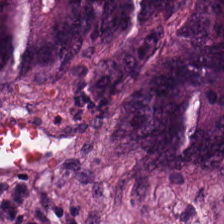H&E stain.
Tissue class = tumor epithelium.
